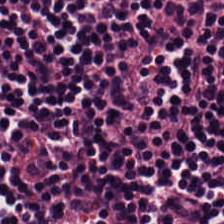H&E. 20× equivalent magnification — {"tissue_type": "lymphocyte aggregate"}
